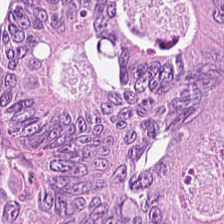FFPE. H&E-stained tissue section.
Finding — colorectal adenocarcinoma epithelium.
